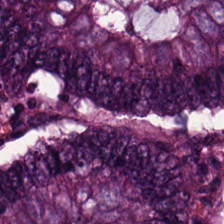224×224 px tile. H&E. 0.5 µm per pixel.
Adenocarcinoma.
